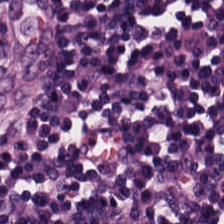Stain: H&E.
Classification: lymphocytic infiltrate.
